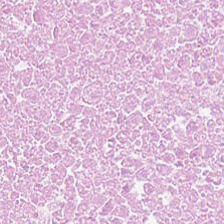H&E stain; 0.5 µm/px; WSI patch. Tissue = debris.
